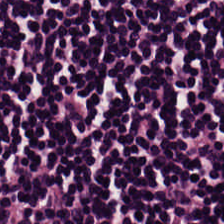224×224 pixel tile; H&E-stained tissue section; FFPE.
{"tissue_type": "lymphocytic infiltrate"}
